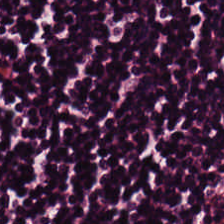Classification: lymphoid infiltrate.
